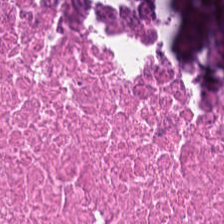224×224 pixel tile; hematoxylin-and-eosin stained section. Cellular debris.
